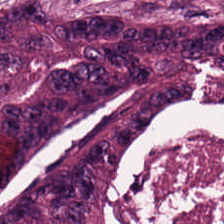H&E stain.
The predominant tissue is colorectal adenocarcinoma epithelium.
